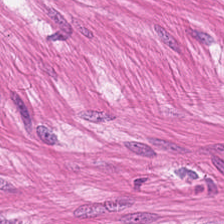H&E · 0.5 µm/px · brightfield microscopy. {"tissue_type": "muscularis"}
